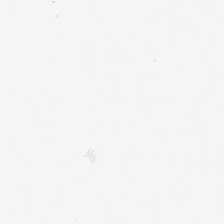0.5 µm per pixel; H&E stain.
Field content = no tissue.
